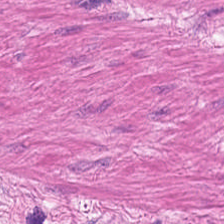H&E stain.
Tissue class — smooth-muscle tissue.
